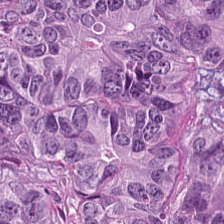Tissue class — tumor epithelium.
